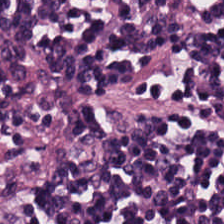Q: Classify this patch.
A: Lymphocyte aggregate.
